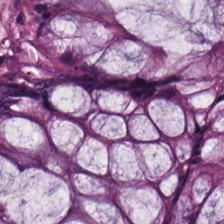H&E patch showing normal colonic mucosa.
